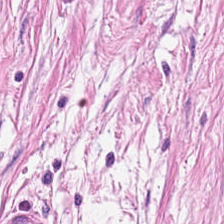224×224 px tile · brightfield microscopy · H&E — Predominant tissue: tumor stroma.
